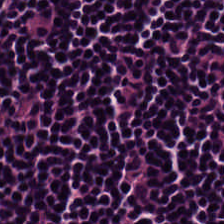H&E stain — The tissue here is lymphoid infiltrate.
